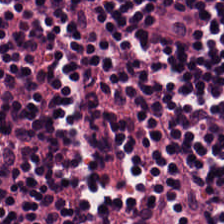Impression → lymphocytes.
